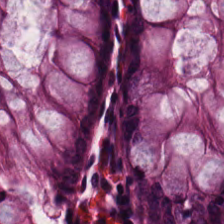H&E-stained tissue section.
Impression — normal colonic mucosa.
